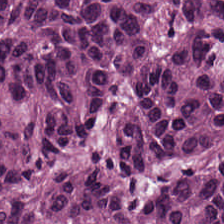Showing tumor epithelium.
